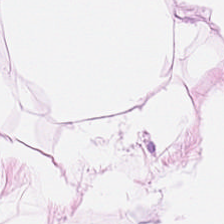H&E stain; FFPE.
Tissue: adipose.
